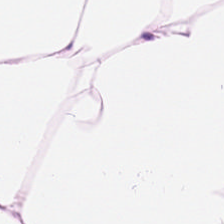Hematoxylin-and-eosin stained section. Showing adipose.
